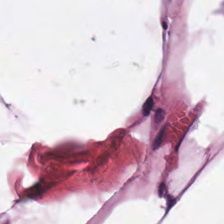Hematoxylin and eosin. FFPE — Showing fat tissue.
